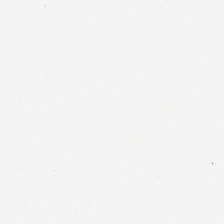The field content is no tissue.
